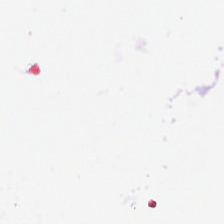H&E-stained tissue section. Q: What does this patch show?
A: This is background.
